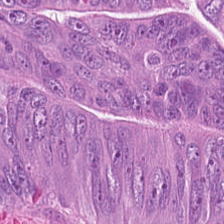224×224 px patch. H&E. Predominant tissue — tumor epithelium.
